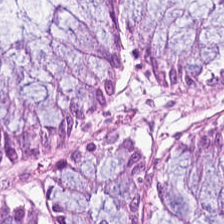H&E patch showing normal colon mucosa.
